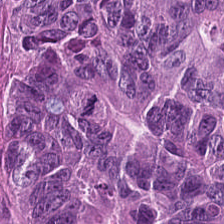Finding → colorectal adenocarcinoma.
